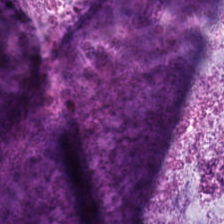H&E-stained tissue section.
Q: What type of tissue is this?
A: The field shows extracellular mucin.
